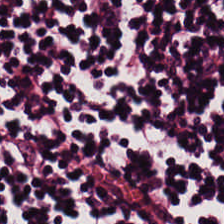H&E; 0.5 microns per pixel; 224×224 pixel tile — The tissue type is lymphocytes.
